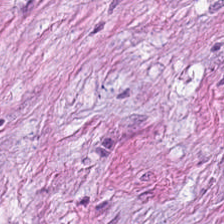Tumor-associated stroma.
